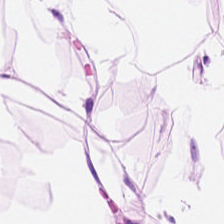Hematoxylin-and-eosin stained section. FFPE tissue section. Brightfield microscopy. Fat tissue.
